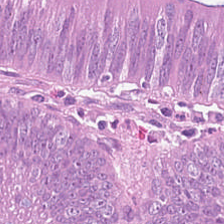Stain: H&E.
Tissue: adenocarcinoma.
